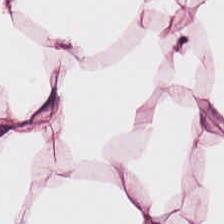Hematoxylin and eosin. FFPE. The tissue class is fat tissue.
